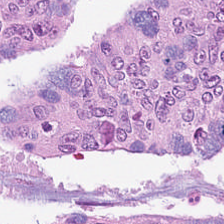224×224 px tile. H&E stain — Q: What is shown here?
A: This is adenocarcinoma.
